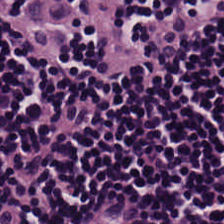H&E-stained tissue section.
Predominantly lymphocytes.
